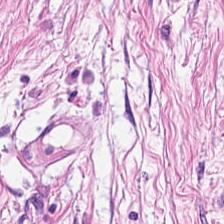Hematoxylin and eosin. 0.5 µm/px — Histology → cancer-associated stroma.
